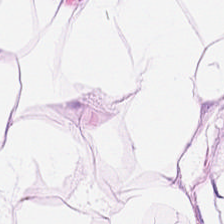Hematoxylin and eosin. Brightfield microscopy.
Tissue class = adipose tissue.
